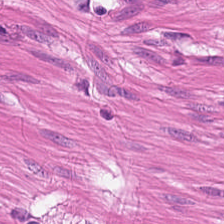FFPE tissue section; H&E-stained tissue section — The predominant tissue is smooth muscle.
